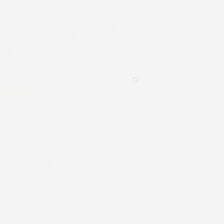H&E-stained tissue section. Empty field — empty background.
